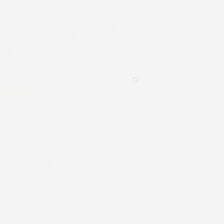H&E-stained tissue section. Empty field — empty background.
